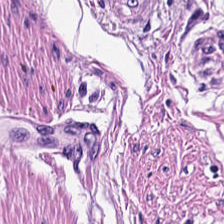Hematoxylin and eosin. 224×224 px tile. 0.5 microns per pixel.
This patch shows muscularis.
